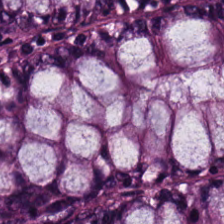H&E patch showing benign colonic mucosa.
